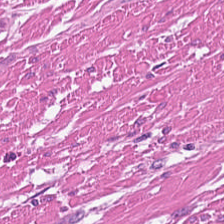WSI patch; H&E; 0.5 µm/px — Predominantly smooth-muscle tissue.
